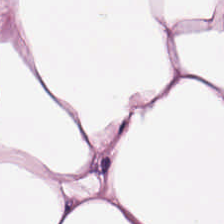Formalin-fixed paraffin-embedded section; H&E-stained tissue section; 0.5 microns per pixel — Classification: adipose tissue.
